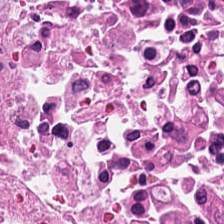Hematoxylin and eosin — Q: What does this patch show?
A: This is necrotic debris.
